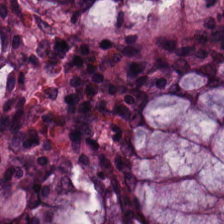FFPE · H&E stain · 0.5 µm/px — Tissue — normal colonic mucosa.
